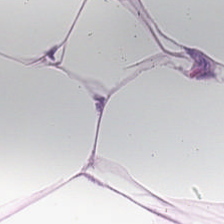Classification = fat tissue.
